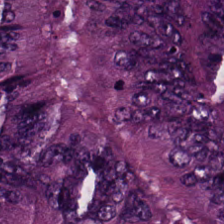Stain: hematoxylin-and-eosin stained section.
Tissue: adenocarcinoma.
